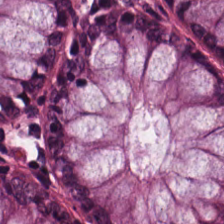Stain: H&E-stained tissue section.
Classification: non-neoplastic colon mucosa.
